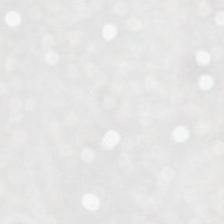Hematoxylin-and-eosin stained section.
Finding → background.
